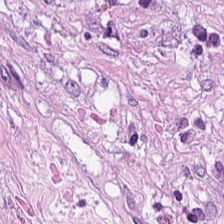The predominant tissue is desmoplastic stroma.
